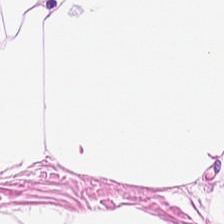Formalin-fixed paraffin-embedded section. Hematoxylin and eosin.
Impression → adipocytes.
